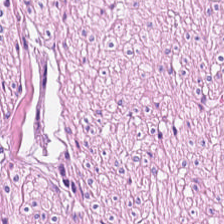224×224 px tile. 20× equivalent magnification. Hematoxylin-and-eosin stained section. This field is smooth-muscle tissue.
